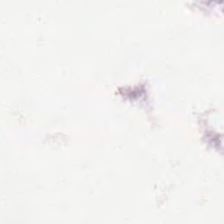Hematoxylin-and-eosin stained section.
This patch shows background.
